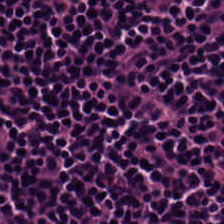H&E stain. Histology → lymphocyte aggregate.
